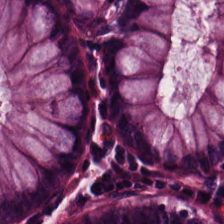H&E.
Finding — normal colonic mucosa.
